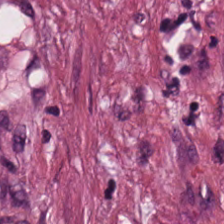224×224 px tile. H&E — Predominantly tumor-associated stroma.
